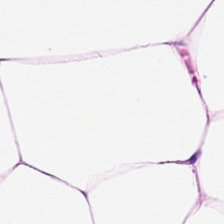Q: What is the predominant tissue type?
A: Adipose.
